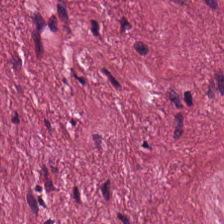Tissue class — cancer-associated stroma.
